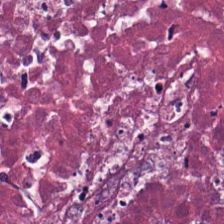H&E.
The tissue here is debris.
